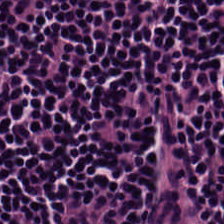H&E-stained tissue section — Lymphoid infiltrate.
